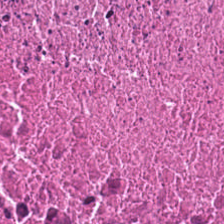Hematoxylin-and-eosin stained section.
This patch shows cellular debris.
